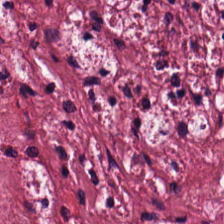H&E-stained tissue section.
Tissue class: tumor-associated stroma.
